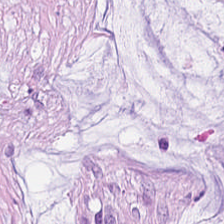H&E-stained tissue section.
Mucin.
